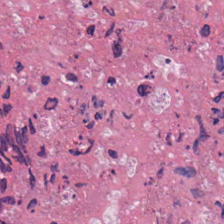This patch shows debris.
